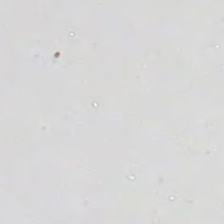H&E stain — Empty background.
